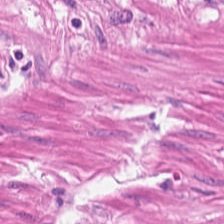Stain: H&E-stained tissue section.
Predominant tissue: muscularis.
